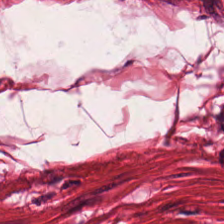224×224 px tile. H&E-stained tissue section. The tissue is muscularis.
